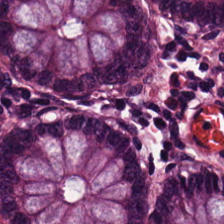Impression → normal colon mucosa.
